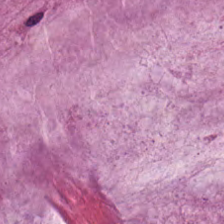Stain: hematoxylin and eosin.
Acquisition: brightfield microscopy.
Resolution: 0.5 µm per pixel.
Tissue type: mucin.
